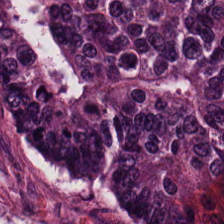Hematoxylin and eosin — Predominant tissue — malignant epithelium.
